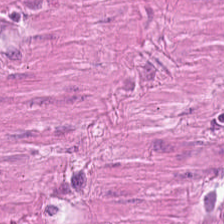Hematoxylin-and-eosin stained section · whole-slide-image patch — Predominantly smooth muscle.
